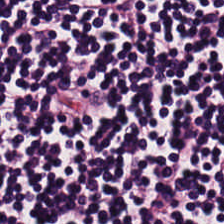FFPE · hematoxylin and eosin. {"tissue_type": "lymphocytes"}
